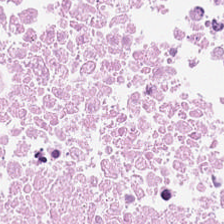Formalin-fixed paraffin-embedded section; hematoxylin and eosin.
Tissue = necrotic debris.
